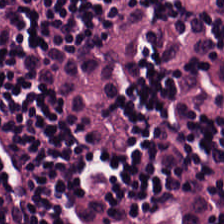H&E. The tissue type is lymphoid infiltrate.
